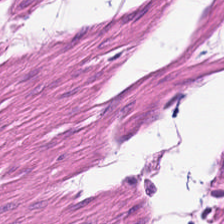224×224 px tile · H&E. {"tissue_type": "smooth muscle"}
